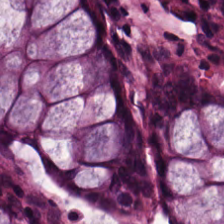The tissue here is normal colonic mucosa.
